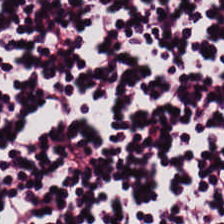Hematoxylin-and-eosin stained section.
Predominant tissue — lymphocytic infiltrate.
